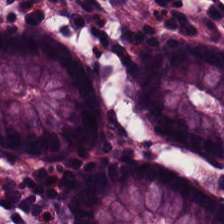H&E-stained tissue section.
Q: What tissue is shown?
A: It is non-neoplastic colon mucosa.
